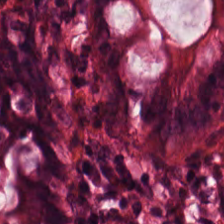H&E. Normal colonic mucosa.
